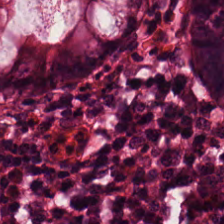Normal colon mucosa.
